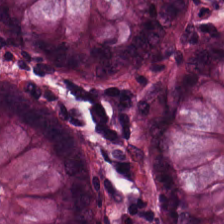Predominant tissue: normal colon mucosa.
